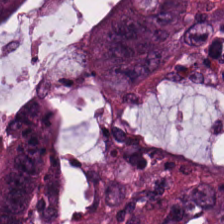Hematoxylin and eosin. Q: What is the predominant tissue type?
A: Colorectal adenocarcinoma epithelium.
